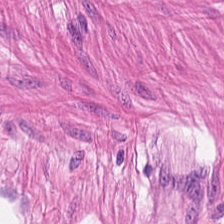H&E. This patch shows smooth-muscle tissue.
